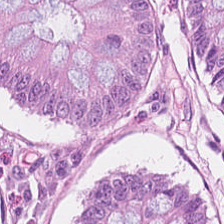Hematoxylin-and-eosin stained section; WSI patch; 0.5 µm/px — Finding — normal colon mucosa.
